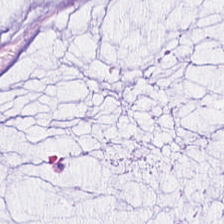H&E patch showing mucus.
